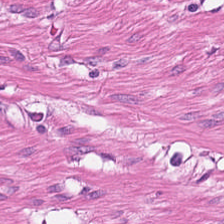H&E stain; brightfield.
Tissue = smooth-muscle tissue.
